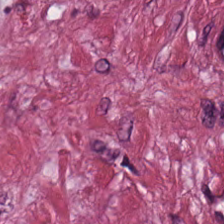Hematoxylin-and-eosin stained section. Tissue type: cancer-associated stroma.
